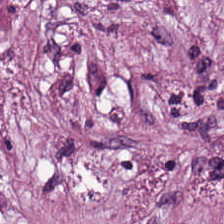H&E patch showing tumor stroma.
